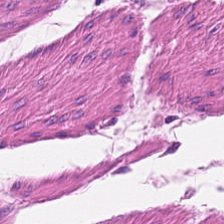{"tissue_type": "smooth-muscle tissue"}
